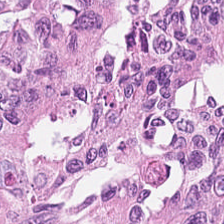H&E stain. 0.5 µm per pixel — {"tissue_type": "adenocarcinoma"}
